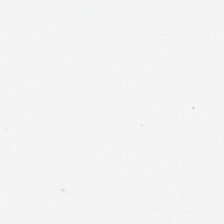This patch shows no tissue.
